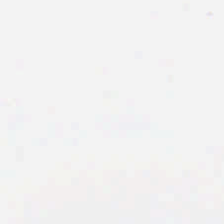Classification — empty background.
